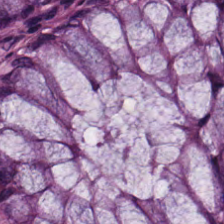Stain: H&E-stained tissue section.
Classification: normal colonic mucosa.
